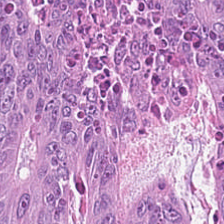Predominant tissue — colorectal adenocarcinoma.
